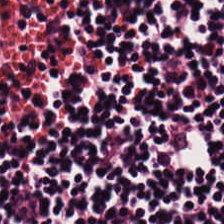Q: What is shown here?
A: Lymphocyte aggregate.
